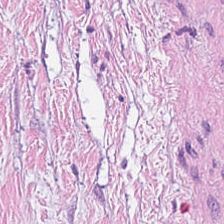Hematoxylin-and-eosin stained section.
Finding — tumor stroma.
